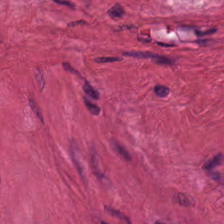224×224 px patch; WSI patch; H&E stain — Classification: smooth-muscle tissue.
